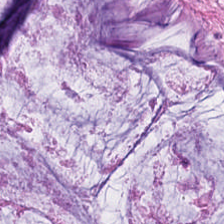H&E-stained tissue section. 0.5 µm per pixel. 224×224 px tile.
Tissue type — extracellular mucin.
